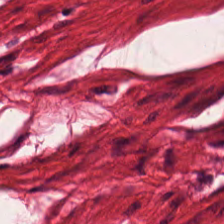H&E stain.
Tissue class = smooth-muscle tissue.
